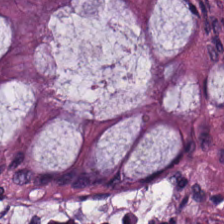Stain: hematoxylin-and-eosin stained section.
Acquisition: brightfield.
Preparation: formalin-fixed paraffin-embedded section.
Predominant tissue: normal colonic mucosa.
